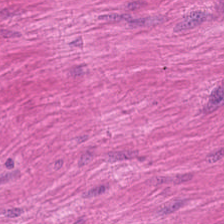Hematoxylin and eosin — {"tissue_type": "smooth-muscle tissue"}
